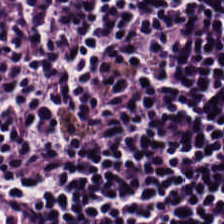Hematoxylin-and-eosin stained section. This patch shows lymphocytes.
